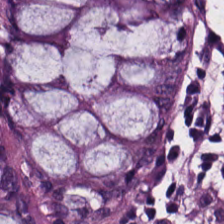Hematoxylin and eosin. 0.5 µm/px — This field is non-neoplastic colon mucosa.
